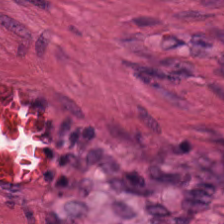224×224 px tile; H&E-stained tissue section.
Tissue class: muscularis.
